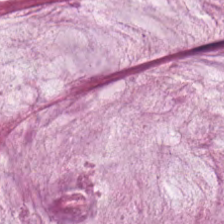FFPE; 0.5 µm per pixel; hematoxylin and eosin. Impression — extracellular mucin.
